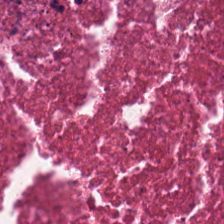The tissue type is necrotic debris.
